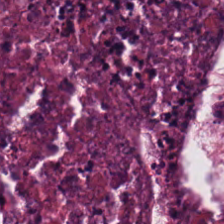H&E-stained tissue section · 224×224 pixel tile.
The predominant tissue is debris.
